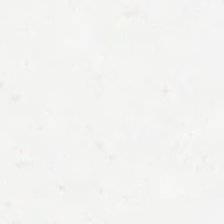224×224 pixel tile · H&E stain · FFPE — {"content": "empty background"}
